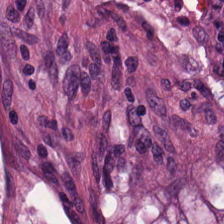Stain: hematoxylin-and-eosin stained section.
Tissue type: cancer-associated stroma.
